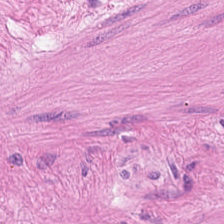H&E-stained tissue section. Smooth-muscle tissue.
